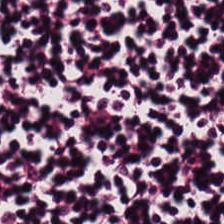FFPE · hematoxylin-and-eosin stained section.
The predominant tissue is lymphoid infiltrate.
